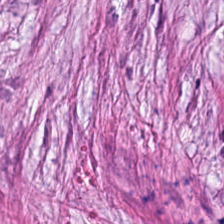FFPE tissue section; 224×224 px patch; hematoxylin-and-eosin stained section.
Impression → cancer-associated stroma.
